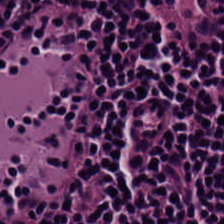FFPE. Hematoxylin-and-eosin stained section — The tissue here is lymphocyte aggregate.
